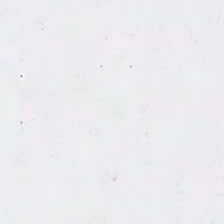224×224 px patch · H&E-stained tissue section — The field content is empty background.
